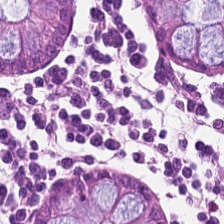Hematoxylin and eosin — Tissue class = non-neoplastic colon mucosa.
